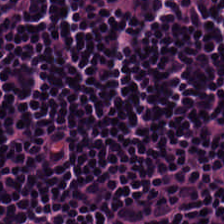{"tissue_type": "lymphocytes"}
